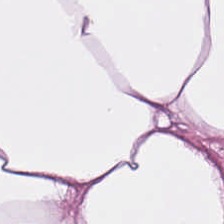The tissue here is adipocytes.
